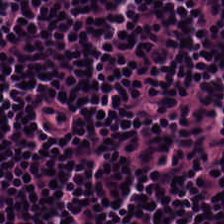H&E stain.
Tissue type = lymphocytes.
